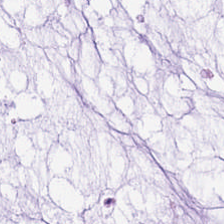0.5 µm/px · H&E stain · FFPE tissue section — Q: Identify the tissue.
A: This is extracellular mucin.
